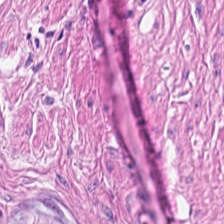Tissue type = muscularis.
